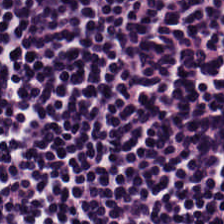Q: Identify the tissue.
A: The field shows lymphoid infiltrate.
